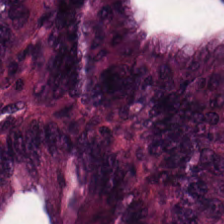H&E stain — {"tissue_type": "colorectal adenocarcinoma epithelium"}
